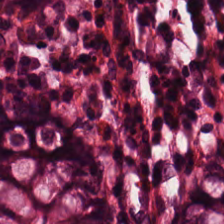Hematoxylin and eosin — Finding — normal colonic mucosa.
